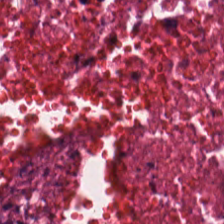Hematoxylin and eosin. {"tissue_type": "debris"}
